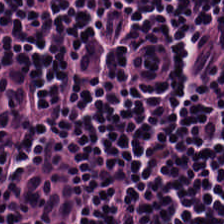Hematoxylin-and-eosin stained section.
This patch shows lymphocytes.
